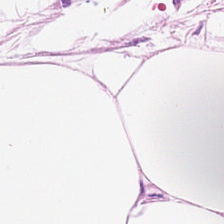Hematoxylin-and-eosin stained section. Q: What is the predominant tissue type?
A: This is fat tissue.
